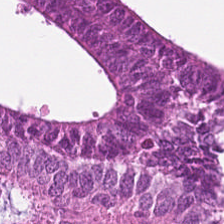H&E stain · 0.5 µm/px. The predominant tissue is colorectal adenocarcinoma epithelium.
